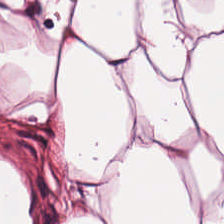Whole-slide-image patch. H&E-stained tissue section — Predominant tissue: fat tissue.
